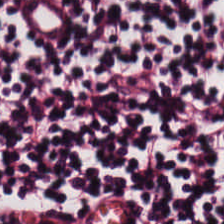Predominant tissue: lymphocyte aggregate.
